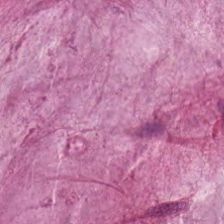H&E stain — Showing mucus.
